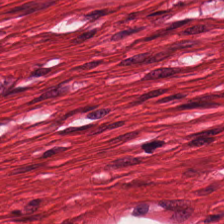H&E — The tissue type is smooth muscle.
